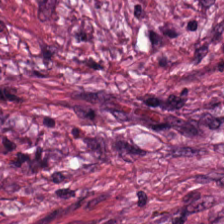Hematoxylin-and-eosin stained section.
Tissue type — cancer-associated stroma.
